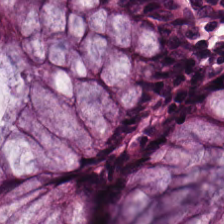FFPE. Hematoxylin-and-eosin stained section. Brightfield microscopy — The predominant tissue is normal colonic mucosa.
